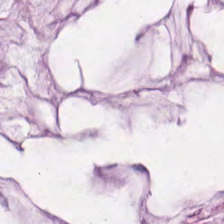H&E. Brightfield — Impression — mucin.
